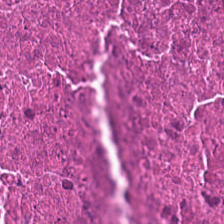H&E-stained tissue section. FFPE tissue section. Q: Classify this patch.
A: It is debris.
